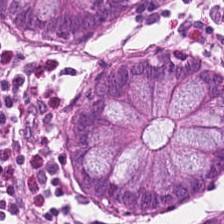Stain: H&E stain.
Classification: non-neoplastic colon mucosa.
